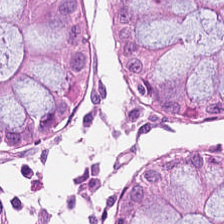Hematoxylin-and-eosin stained section · 20× equivalent magnification. Impression → normal colonic mucosa.
